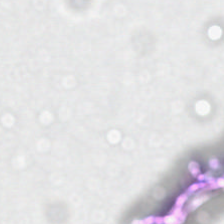0.5 microns per pixel. Hematoxylin and eosin. {"content": "empty background"}
